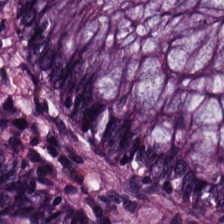Stain: hematoxylin-and-eosin stained section.
Predominant tissue: benign colonic mucosa.
